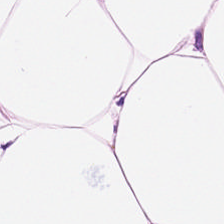H&E · 224×224 px tile.
Q: What tissue is shown?
A: It is fat tissue.
